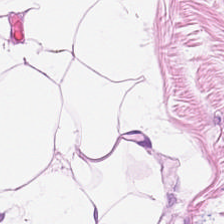H&E-stained tissue section.
This field is adipose tissue.
